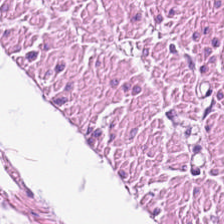Muscularis.
